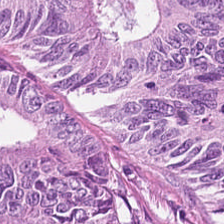Q: What is the predominant tissue type?
A: This is colorectal adenocarcinoma.
